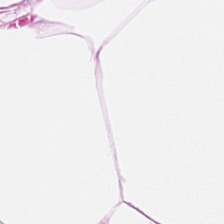H&E-stained tissue section · 0.5 µm/px · FFPE tissue section.
Q: What tissue is shown?
A: Adipose.
